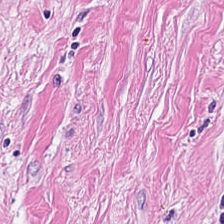The tissue here is tumor-associated stroma.
